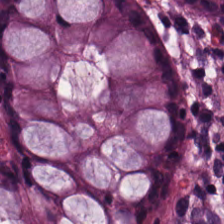H&E-stained tissue section · FFPE tissue section · 224×224 pixel tile — The tissue is normal colon mucosa.
